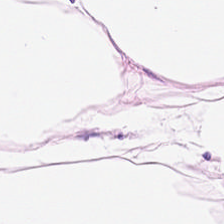H&E stain — Tissue: adipocytes.
